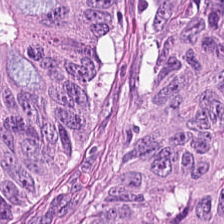Stain: hematoxylin-and-eosin stained section.
Preparation: formalin-fixed paraffin-embedded section.
Tile size: 224×224 pixel tile.
Predominant tissue: colorectal adenocarcinoma epithelium.
